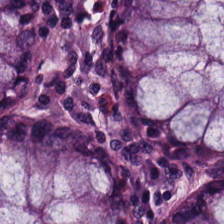Hematoxylin-and-eosin stained section.
Tissue class = benign colonic mucosa.
